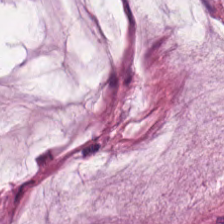Whole-slide-image patch. Hematoxylin and eosin. 224×224 px tile. Q: Classify this patch.
A: This is mucin.
